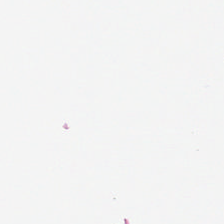H&E. Q: Classify this patch.
A: Background.
